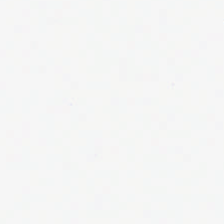Background — no tissue in this field.
